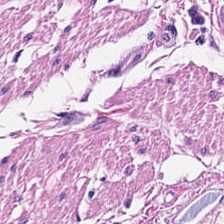Hematoxylin-and-eosin stained section. Predominantly smooth-muscle tissue.
